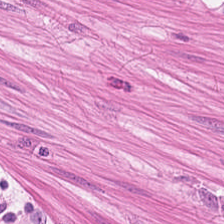Hematoxylin-and-eosin stained section.
Q: Classify this patch.
A: It is muscularis.
